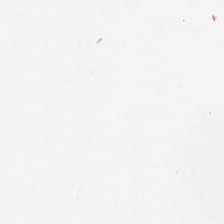Hematoxylin-and-eosin stained section. Q: What does this patch show?
A: This is empty background.
